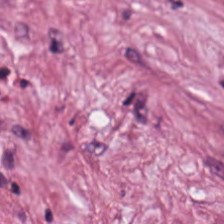0.5 microns per pixel; H&E-stained tissue section — Q: What is the predominant tissue type?
A: The field shows cancer-associated stroma.
